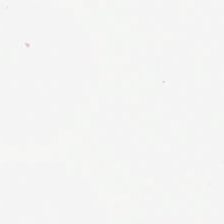H&E stain.
Field content: no tissue.
